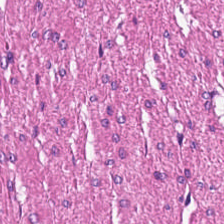H&E stain.
This patch shows muscularis.
